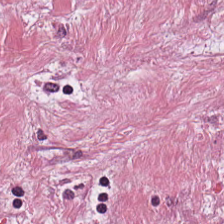Predominant tissue: tumor stroma.
